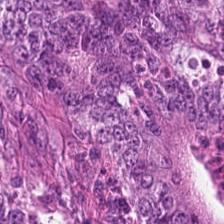Stain: hematoxylin and eosin.
Tissue type: adenocarcinoma.
